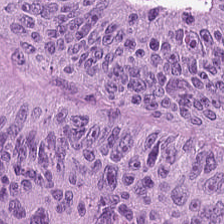Q: What is shown in this field?
A: The field shows colorectal adenocarcinoma epithelium.
